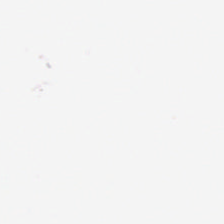Hematoxylin and eosin.
{"content": "no tissue"}
